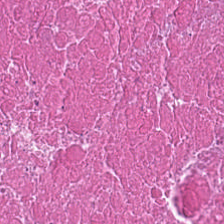H&E.
Q: Classify this patch.
A: This is debris.
